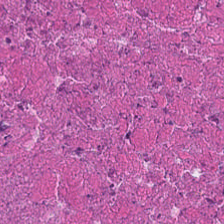Classification: necrotic debris.
